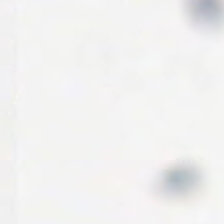Brightfield microscopy; hematoxylin-and-eosin stained section — Background — no tissue in this field.
